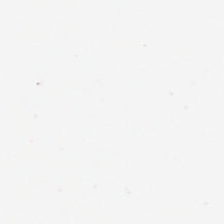Brightfield; H&E; formalin-fixed paraffin-embedded section. Field content — background (no tissue).
